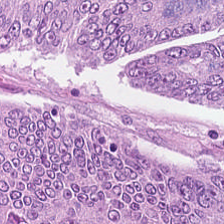H&E · brightfield microscopy · 224×224 px patch — Q: What tissue type is shown here?
A: It is colorectal adenocarcinoma epithelium.
